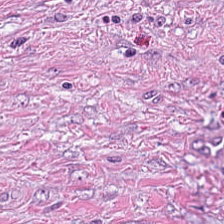H&E; FFPE.
Q: Identify the tissue.
A: It is desmoplastic stroma.
